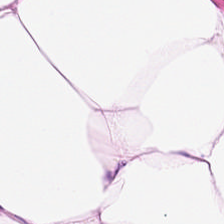Stain: hematoxylin-and-eosin stained section.
Tile size: 224×224 px patch.
Tissue type: adipose tissue.
